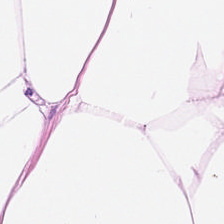{"tissue_type": "fat tissue"}
